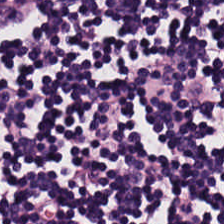This field is lymphoid infiltrate.
